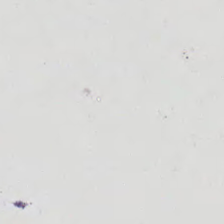224×224 px tile · 0.5 microns per pixel · hematoxylin and eosin. Field content: no tissue.
